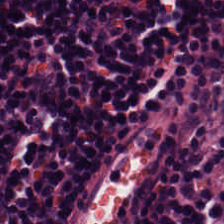Hematoxylin and eosin; WSI patch — This field is lymphocytes.
